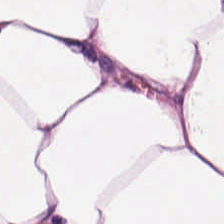Stain: hematoxylin and eosin.
Tissue type: fat tissue.
